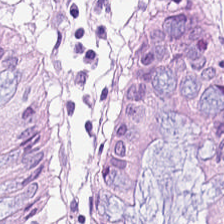H&E-stained section; the field shows normal colonic mucosa.
